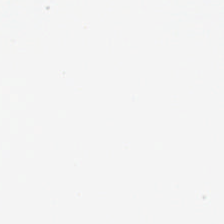H&E.
Content — background (no tissue).
